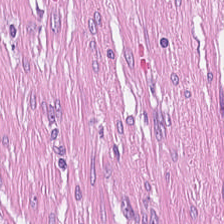Hematoxylin and eosin — {"tissue_type": "desmoplastic stroma"}
